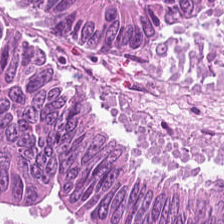Hematoxylin-and-eosin stained section. The tissue class is colorectal adenocarcinoma epithelium.
